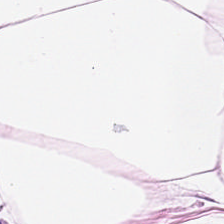Stain: hematoxylin and eosin.
Preparation: FFPE.
Acquisition: brightfield microscopy.
Tissue class: adipose tissue.
